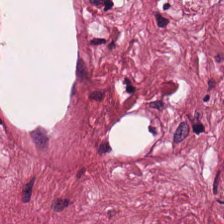0.5 µm/px; hematoxylin-and-eosin stained section; FFPE. Predominantly tumor stroma.
